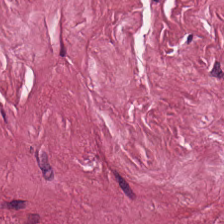Histology — tumor-associated stroma.
